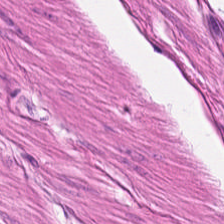Q: What is shown in this field?
A: It is smooth muscle.
